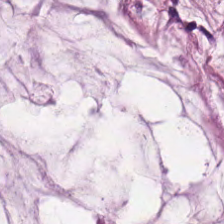Q: What type of tissue is this?
A: Extracellular mucin.
